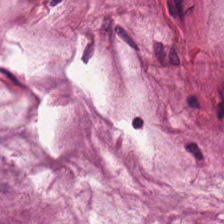224×224 pixel tile · H&E stain. Tissue type = mucin.
